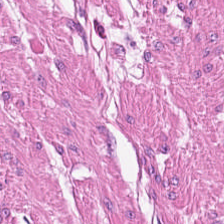H&E-stained tissue section — Histology → muscularis.
